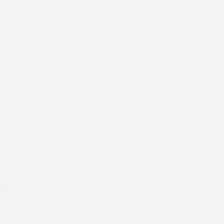Q: What does this patch show?
A: It is background.
